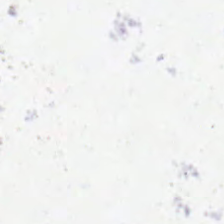FFPE tissue section · 224×224 px patch · hematoxylin-and-eosin stained section. This patch shows empty background.
